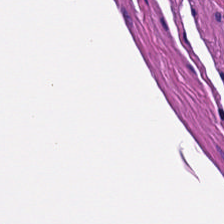H&E-stained tissue section; 0.5 µm per pixel — Histology — muscularis.
